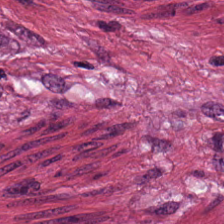Stain: hematoxylin and eosin.
Tissue: desmoplastic stroma.
